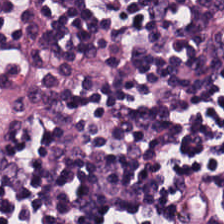Whole-slide-image patch · hematoxylin and eosin. Classification: lymphocytes.
